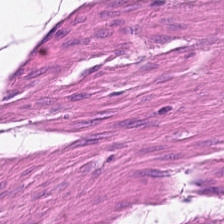H&E — Smooth-muscle tissue.
